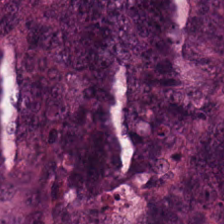224×224 px patch; FFPE tissue section; hematoxylin and eosin.
The predominant tissue is colorectal adenocarcinoma epithelium.
